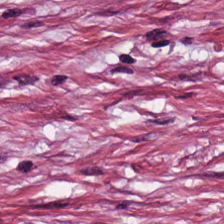Hematoxylin and eosin · FFPE tissue section · 0.5 microns per pixel.
{"tissue_type": "cancer-associated stroma"}
